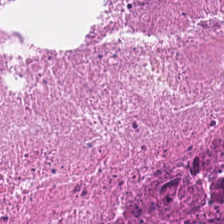Formalin-fixed paraffin-embedded section · H&E stain. Showing cellular debris.
